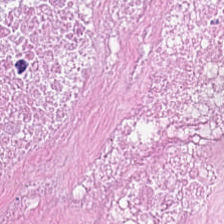Hematoxylin-and-eosin stained section — Q: What is the predominant tissue type?
A: Necrotic debris.
